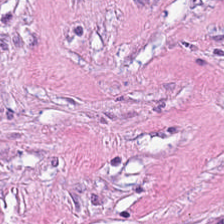Hematoxylin-and-eosin stained section. This patch shows desmoplastic stroma.
